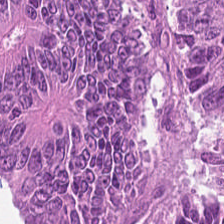Hematoxylin and eosin. Q: Classify this patch.
A: Tumor epithelium.
